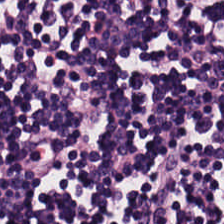Hematoxylin and eosin — Showing lymphoid infiltrate.
